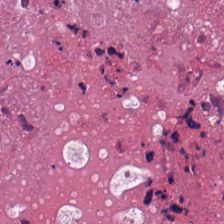224×224 px patch · hematoxylin-and-eosin stained section · 0.5 µm/px. This field is necrotic debris.
